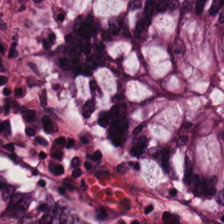Tissue: normal colon mucosa.
